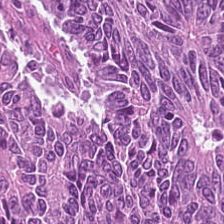Colorectal adenocarcinoma.
